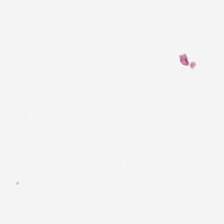Brightfield · 0.5 microns per pixel · hematoxylin-and-eosin stained section. Empty field — empty background.
